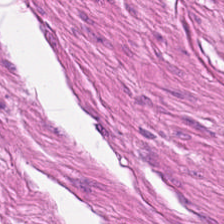H&E stain.
Tissue type = smooth muscle.
